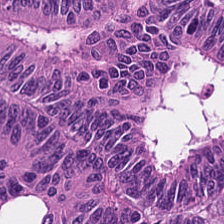224×224 pixel tile; H&E stain; 20× equivalent magnification — Predominant tissue — adenocarcinoma.
